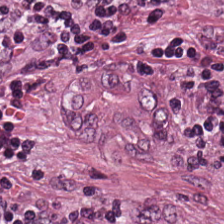H&E stain.
The predominant tissue is colorectal adenocarcinoma epithelium.
